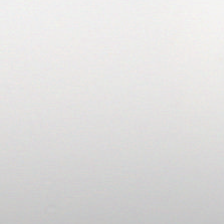Hematoxylin and eosin.
Q: What does this patch show?
A: This is background (no tissue).
